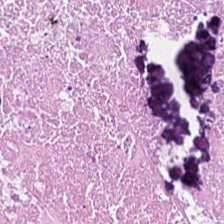Brightfield · H&E stain. Tissue class = debris.
